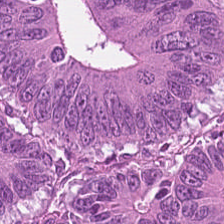Tissue class — colorectal adenocarcinoma epithelium.
